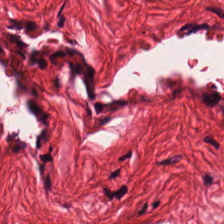H&E stain; 224×224 px tile.
{"tissue_type": "smooth muscle"}
